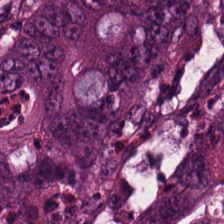224×224 pixel tile. 0.5 µm/px. Hematoxylin-and-eosin stained section.
Q: What tissue is shown?
A: The field shows adenocarcinoma.
